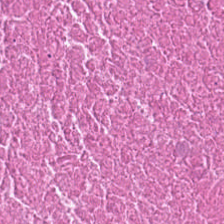Predominantly necrotic debris.
